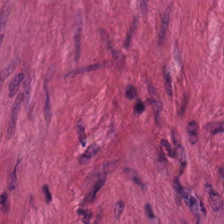Stain: H&E stain.
Acquisition: whole-slide-image patch.
Predominant tissue: smooth-muscle tissue.
